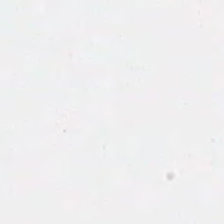Stain: hematoxylin and eosin.
Tile size: 224×224 pixel tile.
Classification: empty background.
